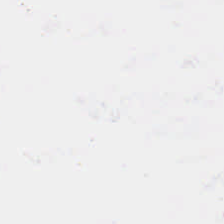H&E. Whole-slide-image patch. 224×224 px patch — Classification — no tissue.
